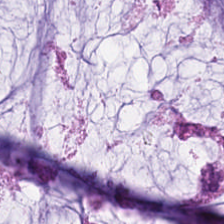0.5 µm/px · H&E.
Showing mucin.
